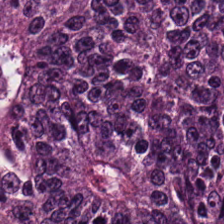H&E — Showing malignant epithelium.
